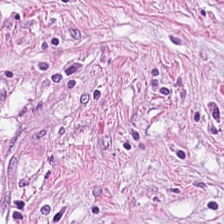This patch shows tumor stroma.
